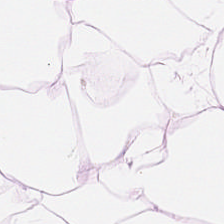Hematoxylin-and-eosin stained section — The predominant tissue is adipocytes.
